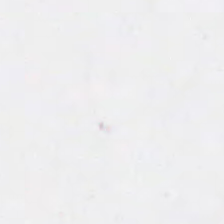This field is background (no tissue).
